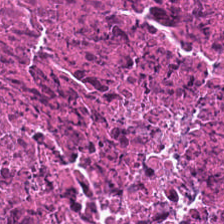H&E-stained tissue section. Formalin-fixed paraffin-embedded section. Necrotic debris.
